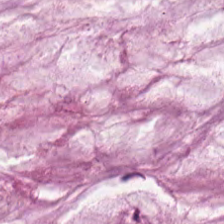H&E — {"tissue_type": "mucus"}
